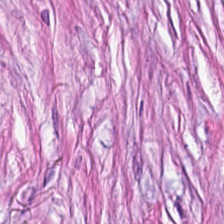H&E stain. 0.5 microns per pixel — Tissue type = desmoplastic stroma.
